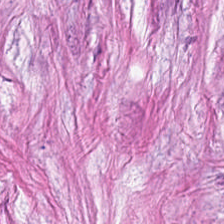Hematoxylin-and-eosin section: tumor-associated stroma.
